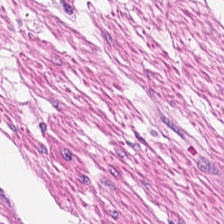Stain: H&E stain.
Predominant tissue: muscularis.
